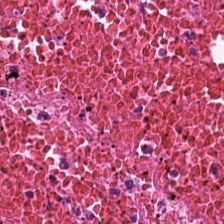H&E. WSI patch. {"tissue_type": "cellular debris"}
